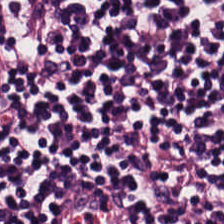H&E-stained tissue section. Q: What is the predominant tissue type?
A: The field shows lymphoid infiltrate.
